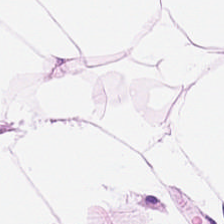Stain: H&E-stained tissue section.
Resolution: 0.5 µm/px.
Classification: fat tissue.
